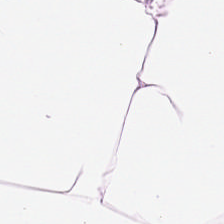Stain: H&E.
Predominant tissue: fat tissue.
